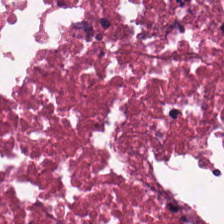Hematoxylin-and-eosin stained section. WSI patch.
This field is debris.
